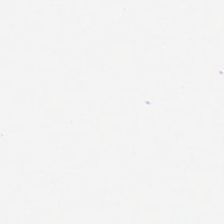H&E stain — Field content: background.
